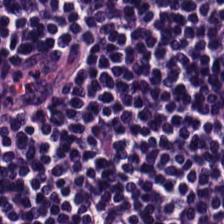Finding → lymphocytes.
